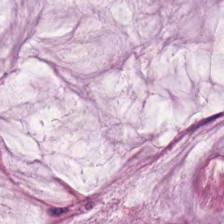Hematoxylin-and-eosin stained section; WSI patch; 224×224 px patch. Q: Identify the tissue.
A: It is mucin.
